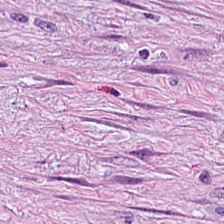Hematoxylin and eosin — Tissue type = tumor-associated stroma.
